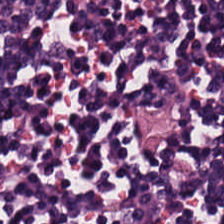H&E stain.
Q: What type of tissue is this?
A: The field shows lymphocytes.
